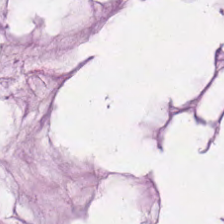H&E. Classification = mucin.
